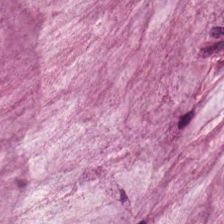Histology — extracellular mucin.
